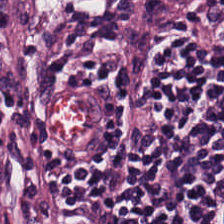H&E stain · 20× equivalent magnification.
The tissue type is lymphocyte aggregate.
